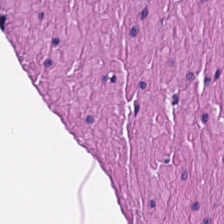224×224 px tile · H&E stain — Smooth muscle.
